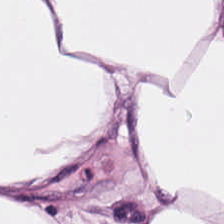The predominant tissue is adipose.
